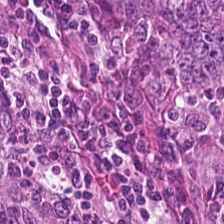H&E stain — Histology — colorectal adenocarcinoma epithelium.
